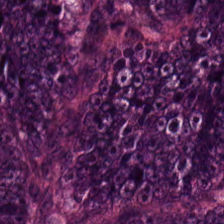20× equivalent magnification; FFPE tissue section; H&E-stained tissue section.
Showing colorectal adenocarcinoma.
